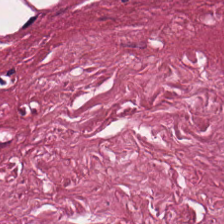Hematoxylin and eosin. The tissue class is tumor stroma.
